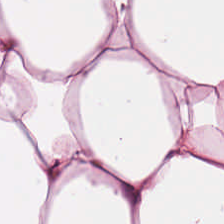H&E stain. Brightfield. Histology — adipose tissue.
